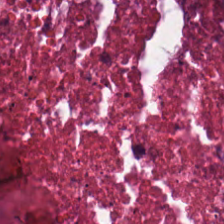Tissue type: necrotic debris.
